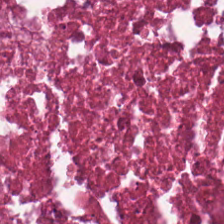H&E — The tissue class is debris.
